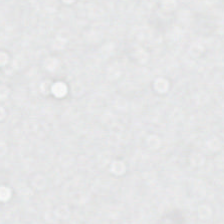224×224 pixel tile. H&E.
Background — no tissue in this field.
